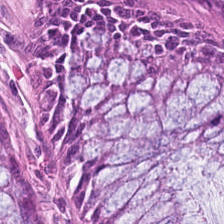Stain: hematoxylin-and-eosin stained section.
Predominant tissue: non-neoplastic colon mucosa.
